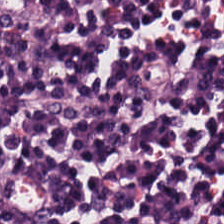Histology → lymphocyte aggregate.
